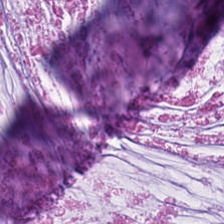Whole-slide-image patch. H&E — Classification: mucin.
